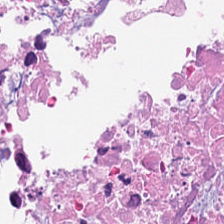Histology → necrotic debris.
